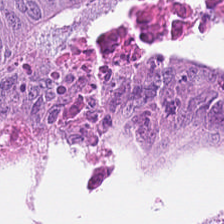Hematoxylin-and-eosin stained section; 0.5 microns per pixel — Classification: malignant epithelium.
